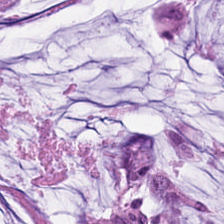Hematoxylin and eosin. 0.5 µm per pixel — Q: What type of tissue is this?
A: It is mucus.
